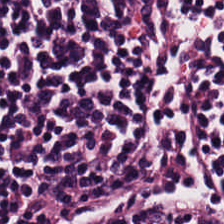The predominant tissue is lymphoid infiltrate.
